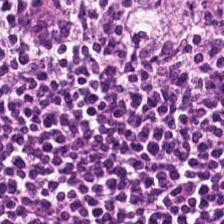224×224 pixel tile · brightfield · hematoxylin and eosin — Tissue class = lymphoid infiltrate.
